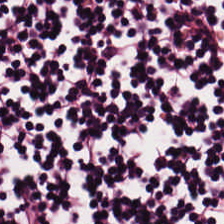H&E-stained tissue section. Classification: lymphocyte aggregate.
